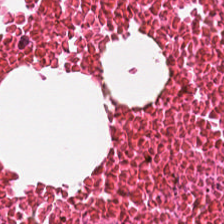H&E-stained tissue section. Impression → necrotic debris.
